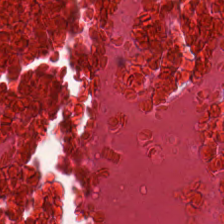H&E-stained tissue section; 224×224 px tile.
Showing cellular debris.
